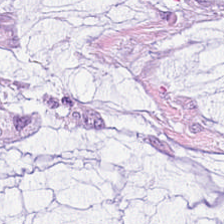Brightfield · 224×224 pixel tile · hematoxylin-and-eosin stained section. This patch shows extracellular mucin.
